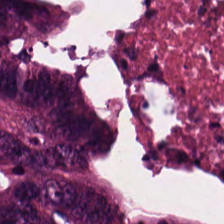Predominant tissue: tumor epithelium.
